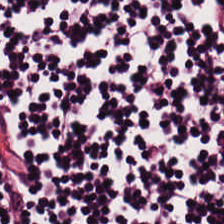{"tissue_type": "lymphocyte aggregate"}
